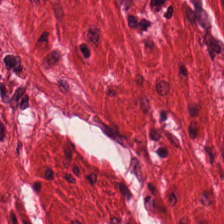Predominant tissue: smooth muscle.
